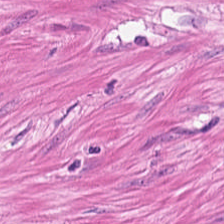H&E; brightfield; FFPE.
This field is smooth muscle.
